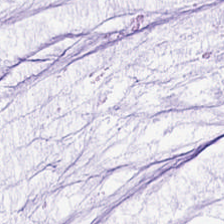224×224 pixel tile. H&E stain.
The tissue here is extracellular mucin.
